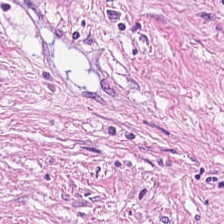Stain: H&E.
Preparation: formalin-fixed paraffin-embedded section.
Classification: tumor-associated stroma.
